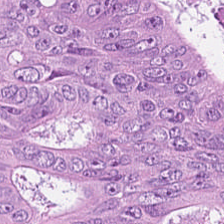H&E-stained tissue section.
Q: What does this patch show?
A: It is malignant epithelium.
